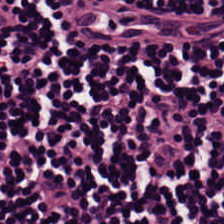Q: What does this patch show?
A: Lymphocytic infiltrate.
